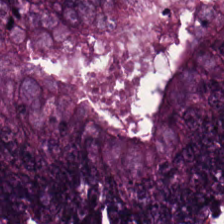224×224 px tile. Hematoxylin-and-eosin stained section.
Tumor epithelium.
